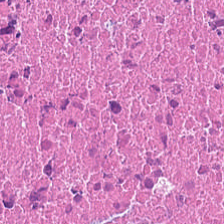H&E. Finding — debris.
